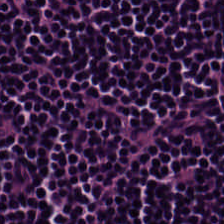H&E-stained tissue section.
Predominantly lymphoid infiltrate.
